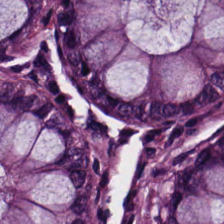H&E — non-neoplastic colon mucosa.
